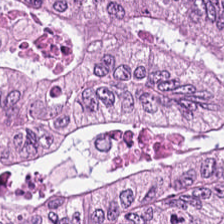Q: What is shown here?
A: This is colorectal adenocarcinoma.
